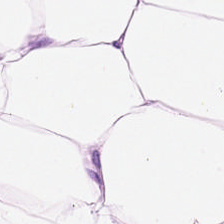H&E stain. Adipose tissue.
